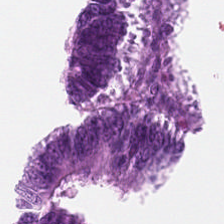Empty field — background (no tissue).
